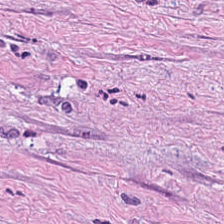0.5 microns per pixel. H&E. FFPE.
This field is cancer-associated stroma.
